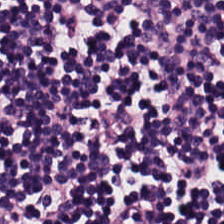Hematoxylin-and-eosin stained section. The predominant tissue is lymphocyte aggregate.
